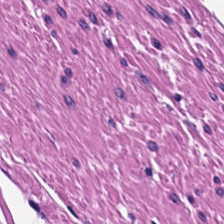H&E stain. The tissue here is smooth muscle.
